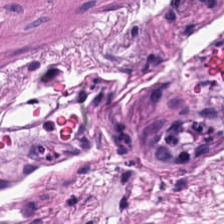H&E.
This patch shows muscularis.
